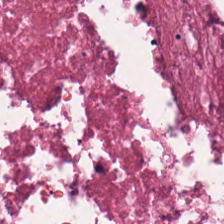Formalin-fixed paraffin-embedded section; hematoxylin-and-eosin stained section. This patch shows cellular debris.
